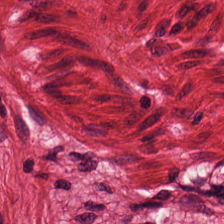H&E — Tissue = smooth muscle.
